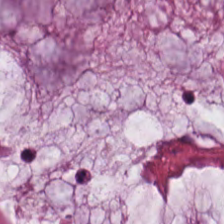WSI patch · H&E-stained tissue section — Mucus.
